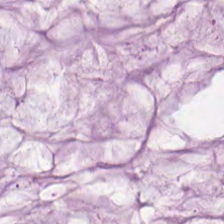H&E. Q: What is the predominant tissue type?
A: Mucin.
